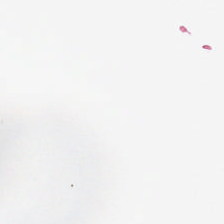H&E; WSI patch; 224×224 px tile — Empty field — empty background.
